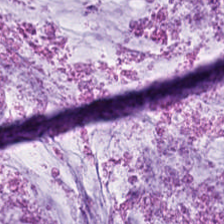Finding — mucin.
